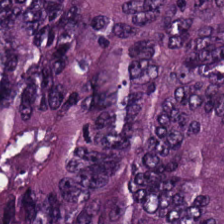H&E. FFPE tissue section.
Q: Classify this patch.
A: This is adenocarcinoma.
